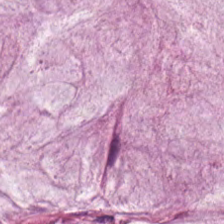{"tissue_type": "mucin"}
